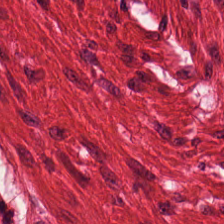H&E; 224×224 px tile. Finding → muscularis.
